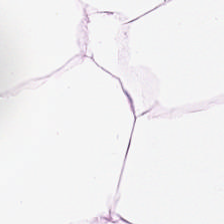H&E stain. This field is adipose tissue.
